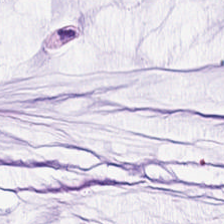Predominant tissue = mucus.
